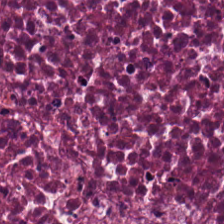Hematoxylin and eosin. Debris.
